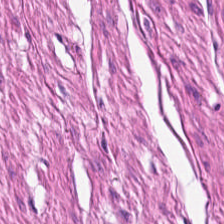Hematoxylin and eosin. 0.5 µm per pixel.
Predominant tissue = smooth-muscle tissue.
